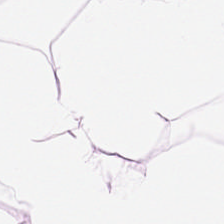{"tissue_type": "fat tissue"}
